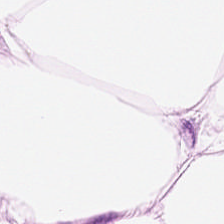Hematoxylin and eosin · brightfield microscopy · FFPE tissue section. Predominantly adipocytes.
